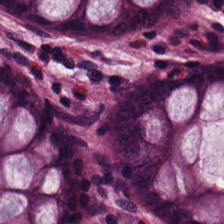Stain: hematoxylin-and-eosin stained section.
Resolution: 20× equivalent magnification.
Tissue class: normal colonic mucosa.
